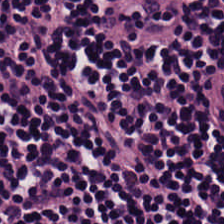H&E stain; brightfield microscopy. Histology → lymphocytic infiltrate.
